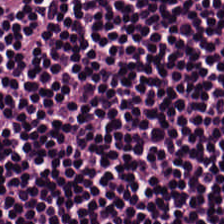Showing lymphocyte aggregate.
